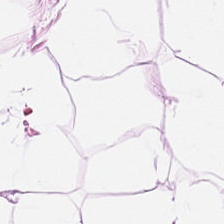H&E. Impression → adipose.
